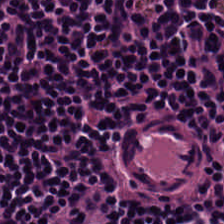Whole-slide-image patch; H&E; 0.5 µm per pixel — Tissue type = lymphoid infiltrate.
